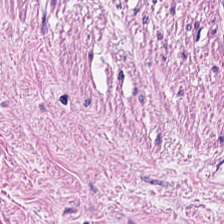H&E stain · 20× equivalent magnification · 224×224 px patch.
This field is muscularis.
